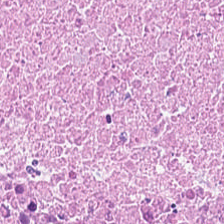H&E; 0.5 µm per pixel.
Q: What does this patch show?
A: Debris.
